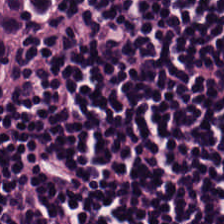The predominant tissue is lymphocytes.
